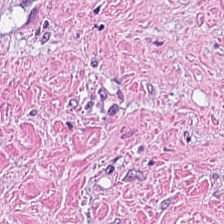Tissue class = cancer-associated stroma.
